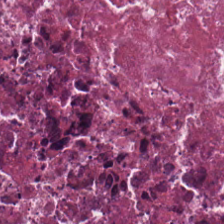H&E-stained tissue section · 224×224 px tile · WSI patch — Predominantly necrotic debris.
